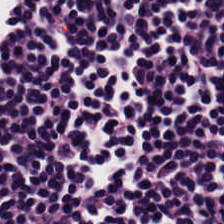The predominant tissue is lymphoid infiltrate.
